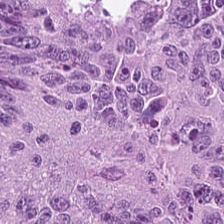Stain: H&E-stained tissue section.
Tissue class: adenocarcinoma.
